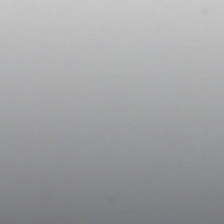H&E stain. 224×224 px tile — Histology → empty background.
